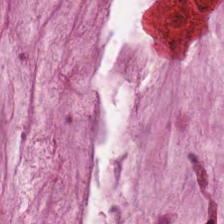Hematoxylin and eosin.
The tissue is mucus.
